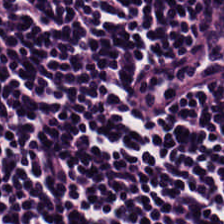Q: What is shown here?
A: The field shows lymphocyte aggregate.
